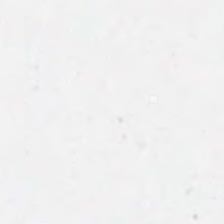Empty field — background (no tissue).
